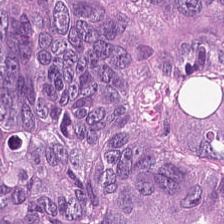224×224 px tile; H&E-stained tissue section.
Histology — adenocarcinoma.
